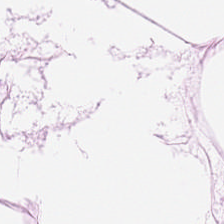H&E-stained tissue section. This patch shows adipocytes.
